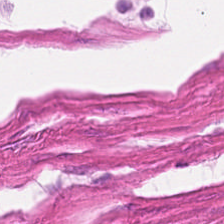Impression — muscularis.
